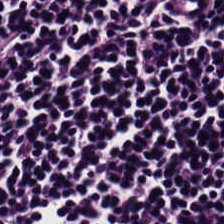H&E. Whole-slide-image patch.
Lymphocytes.
